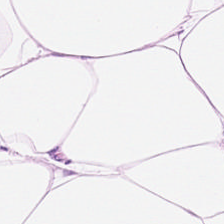The tissue class is adipocytes.
